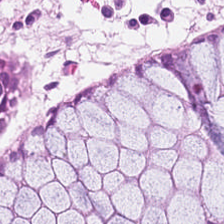Predominant tissue: benign colonic mucosa.
